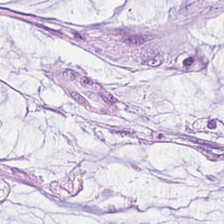H&E patch showing mucin.
